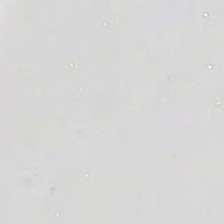Stain: hematoxylin-and-eosin stained section.
Acquisition: brightfield microscopy.
Tile size: 224×224 px tile.
Content: empty background.
